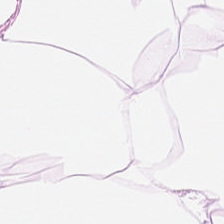Q: What is the predominant tissue type?
A: The field shows adipose.
